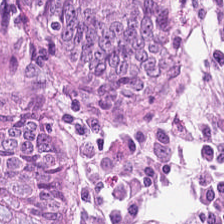Hematoxylin and eosin.
Impression → normal colon mucosa.
